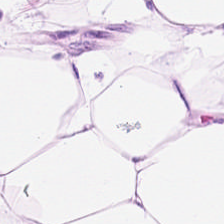H&E-stained section; the field shows adipose tissue.
